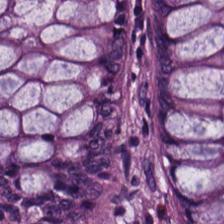H&E stain. Showing benign colonic mucosa.
